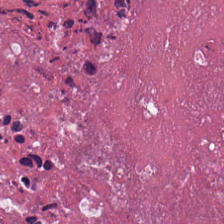WSI patch; FFPE; hematoxylin-and-eosin stained section.
Showing necrotic debris.
